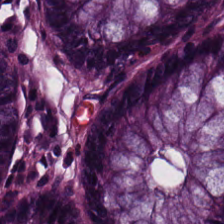Hematoxylin and eosin. Q: What is shown here?
A: It is benign colonic mucosa.
